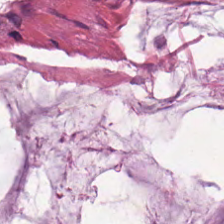0.5 µm/px; H&E-stained tissue section; brightfield. Impression — mucus.
